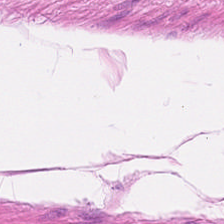Hematoxylin-and-eosin stained section · 20× equivalent magnification. Tissue = muscularis.
